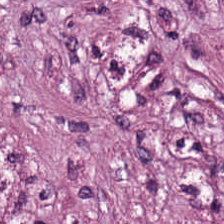Brightfield. Hematoxylin and eosin — Q: What is the predominant tissue type?
A: The field shows cancer-associated stroma.
